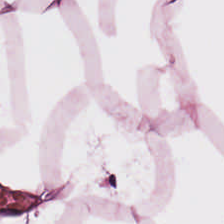Hematoxylin-and-eosin stained section. Adipose.
